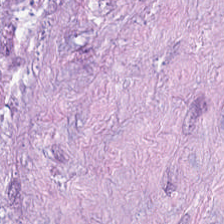224×224 pixel tile · whole-slide-image patch · hematoxylin-and-eosin stained section. Histology — tumor-associated stroma.
